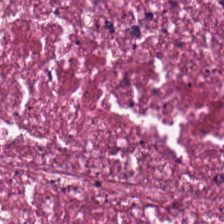Hematoxylin and eosin.
This field is cellular debris.
